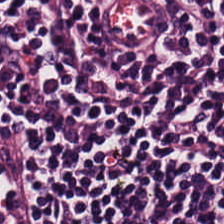Hematoxylin and eosin. This field is lymphocytes.
